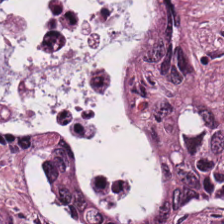Hematoxylin and eosin; WSI patch; formalin-fixed paraffin-embedded section. Impression → adenocarcinoma.
